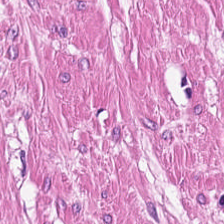H&E-stained tissue section.
Smooth muscle.
